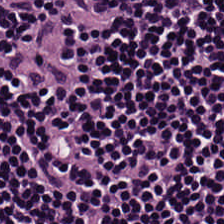Stain: hematoxylin and eosin.
Classification: lymphocytic infiltrate.
